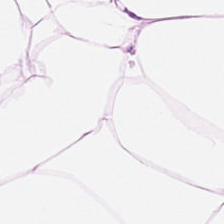0.5 µm per pixel; H&E stain. {"tissue_type": "adipocytes"}
